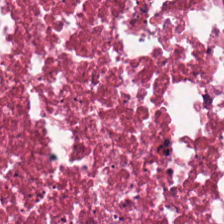Stain: H&E-stained tissue section.
Tile size: 224×224 pixel tile.
Preparation: FFPE tissue section.
Classification: debris.
